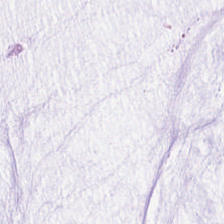H&E · FFPE.
Tissue type: mucus.
